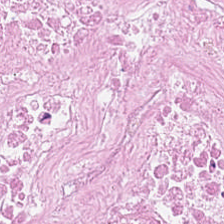Hematoxylin-and-eosin stained section — The classification is cellular debris.
